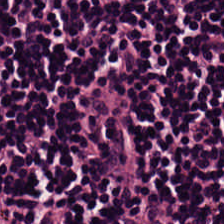The tissue class is lymphoid infiltrate.
